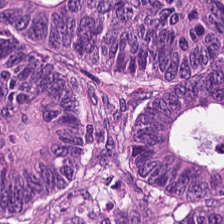0.5 µm per pixel. Hematoxylin and eosin. Tissue = colorectal adenocarcinoma.
